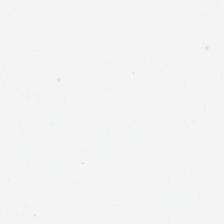Stain: hematoxylin and eosin.
Acquisition: brightfield.
Classification: background (no tissue).
